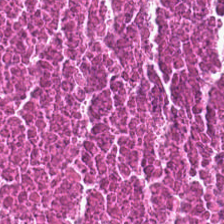Tissue type: necrotic debris.
